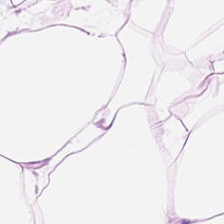H&E stain; FFPE — Tissue: fat tissue.
